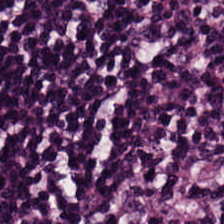H&E-stained tissue section — Q: What type of tissue is this?
A: The field shows lymphocyte aggregate.
